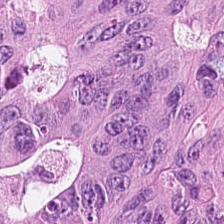Stain: H&E-stained tissue section.
Predominant tissue: colorectal adenocarcinoma.
